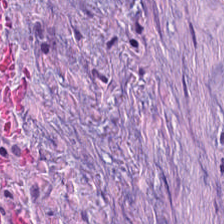Hematoxylin and eosin — Tissue: tumor-associated stroma.
